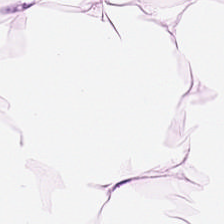Whole-slide-image patch. H&E. Impression — fat tissue.
